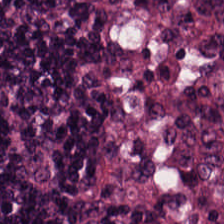The tissue class is lymphoid infiltrate.
